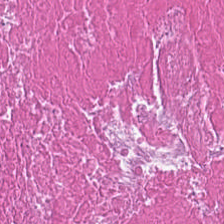H&E stain — This field is necrotic debris.
